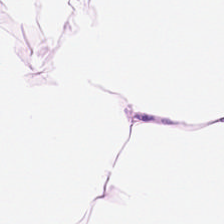Q: Classify this patch.
A: The field shows adipocytes.
